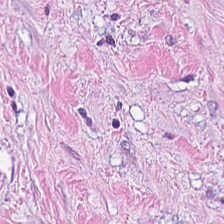FFPE · H&E stain. Predominant tissue: cancer-associated stroma.
